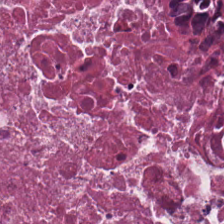This patch shows necrotic debris.
